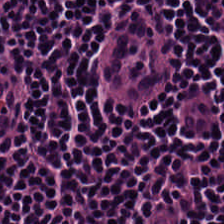H&E; brightfield — Histology → lymphoid infiltrate.
